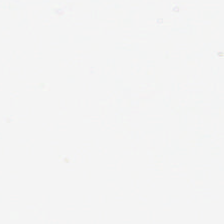H&E stain · formalin-fixed paraffin-embedded section. Q: What is shown here?
A: Background.
